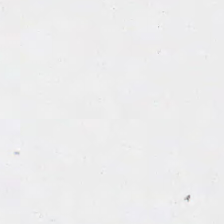H&E. FFPE tissue section.
Field content — background (no tissue).
